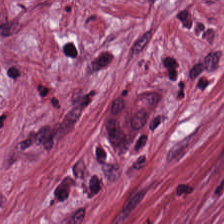0.5 microns per pixel; H&E; whole-slide-image patch. The tissue type is desmoplastic stroma.
